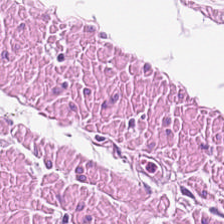H&E — smooth muscle.
